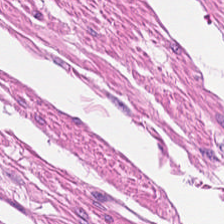Stain: hematoxylin and eosin.
Tissue: smooth muscle.
